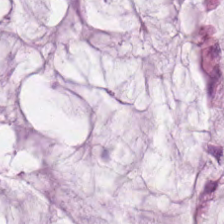Hematoxylin-and-eosin stained section. Extracellular mucin.
